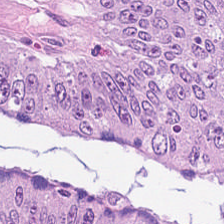Stain: H&E.
Resolution: 0.5 µm/px.
Preparation: formalin-fixed paraffin-embedded section.
Classification: tumor epithelium.
